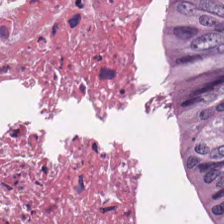H&E-stained tissue section. Predominantly necrotic debris.
